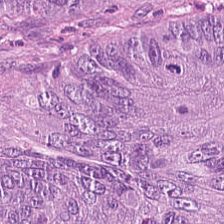FFPE · H&E-stained tissue section — {"tissue_type": "colorectal adenocarcinoma epithelium"}
